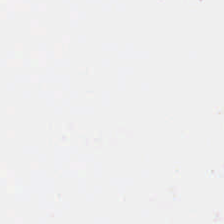Stain: H&E.
Classification: background.
